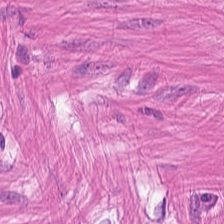Hematoxylin and eosin — Smooth-muscle tissue.
